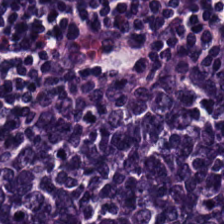Tissue type = lymphocytic infiltrate.
